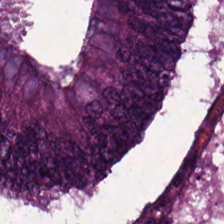H&E stain — The predominant tissue is tumor epithelium.
